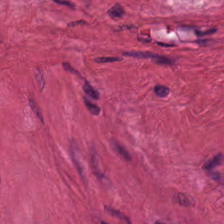0.5 microns per pixel · 224×224 px tile · H&E-stained tissue section.
Q: What does this patch show?
A: This is muscularis.
